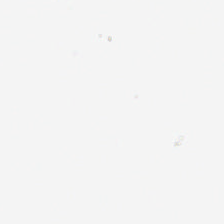H&E stain. No tissue present; background only.
